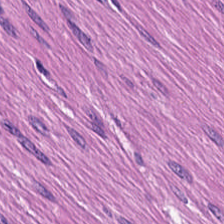Stain: hematoxylin-and-eosin stained section.
Resolution: 20× equivalent magnification.
Predominant tissue: muscularis.
